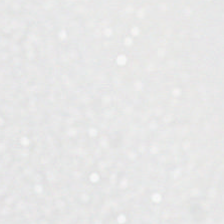224×224 px tile · 0.5 µm per pixel · hematoxylin and eosin. Empty background.
